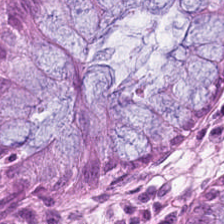Tissue = non-neoplastic colon mucosa.
